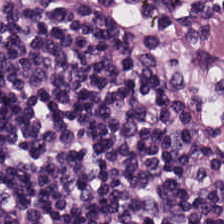Brightfield. H&E. 224×224 px tile — This patch shows lymphoid infiltrate.
